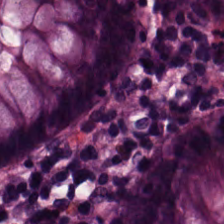224×224 px patch · H&E.
Tissue type = normal colon mucosa.
